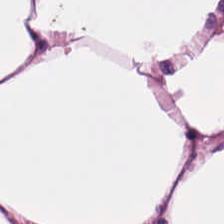H&E. Tissue: adipocytes.
